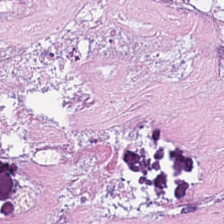Hematoxylin and eosin.
{"tissue_type": "necrotic debris"}
